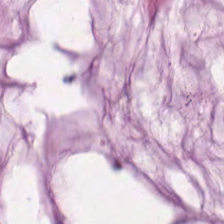Impression → mucus.
